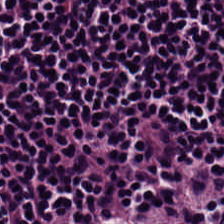H&E. Histology → lymphocytes.
